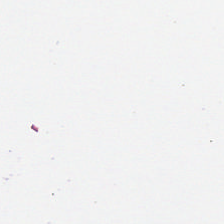Hematoxylin-and-eosin stained section.
The content is no tissue.
